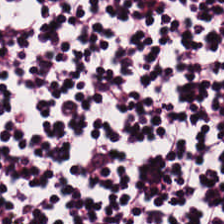Stain: H&E.
Preparation: FFPE.
Resolution: 0.5 microns per pixel.
Tissue: lymphocyte aggregate.
